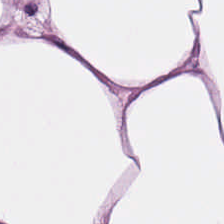Brightfield microscopy. H&E stain. This patch shows adipocytes.
